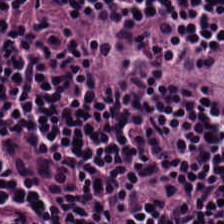Hematoxylin-and-eosin stained section; 20× equivalent magnification; brightfield microscopy — Tissue: lymphocyte aggregate.
